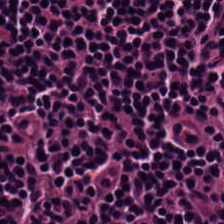H&E — This field is lymphocyte aggregate.
